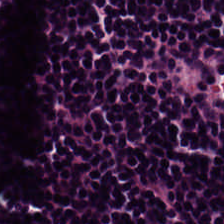Hematoxylin-and-eosin stained section. FFPE tissue section. 0.5 µm/px — Q: What tissue type is shown here?
A: This is lymphocyte aggregate.
